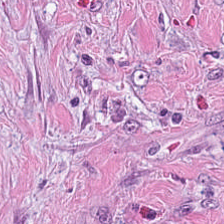H&E stain. Impression — tumor stroma.
